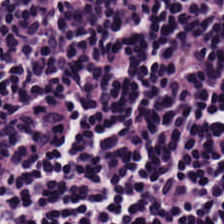H&E. Tissue: lymphocyte aggregate.
